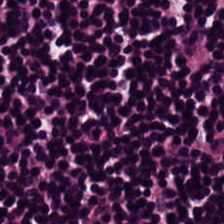Hematoxylin-and-eosin stained section. {"tissue_type": "lymphocyte aggregate"}
